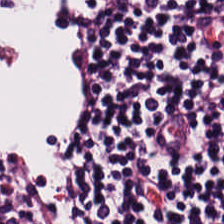Hematoxylin and eosin. Q: What type of tissue is this?
A: Lymphocytes.
